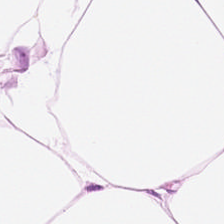Q: What is shown in this field?
A: It is adipose.
